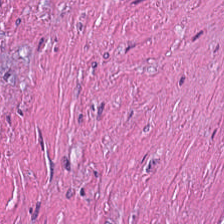Hematoxylin-and-eosin stained section; 224×224 pixel tile — Tissue class — cellular debris.
